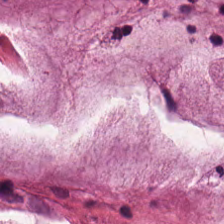Tissue class: mucin.
